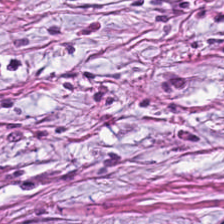This field is tumor-associated stroma.
